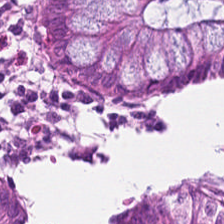H&E. FFPE tissue section. WSI patch. The tissue type is benign colonic mucosa.
